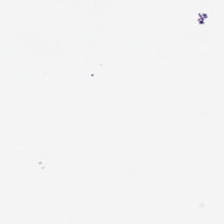Hematoxylin-and-eosin stained section · 224×224 pixel tile · WSI patch. Classification — no tissue.
